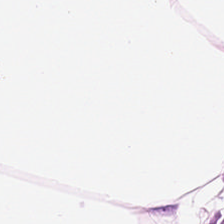H&E stain.
Histology → fat tissue.
